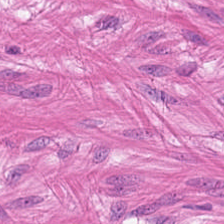Stain: H&E stain.
Preparation: formalin-fixed paraffin-embedded section.
Tissue: muscularis.
